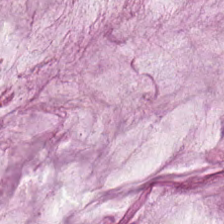224×224 pixel tile; hematoxylin and eosin.
The predominant tissue is extracellular mucin.
